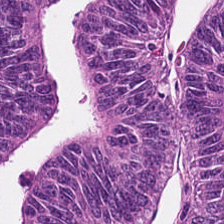Classification = tumor epithelium.
